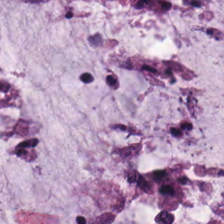Predominantly mucin.
